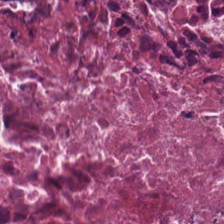Hematoxylin and eosin — Q: What is the predominant tissue type?
A: This is debris.
